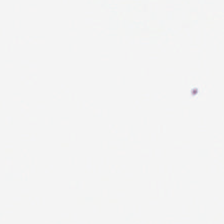FFPE tissue section. H&E stain. Q: What does this patch show?
A: Background (no tissue).
